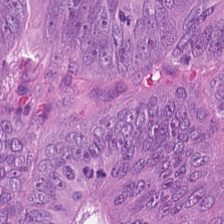Stain: H&E stain.
Acquisition: brightfield.
Resolution: 20× equivalent magnification.
Predominant tissue: tumor epithelium.
